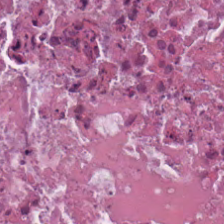H&E-stained tissue section. 0.5 µm per pixel — The tissue here is necrotic debris.
